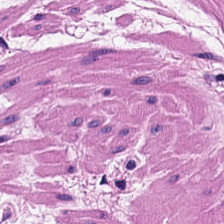Tissue: smooth muscle.
